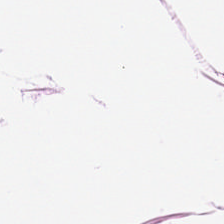H&E-stained tissue section.
The predominant tissue is adipocytes.
